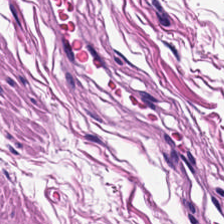H&E-stained tissue section.
Tissue type: smooth-muscle tissue.
